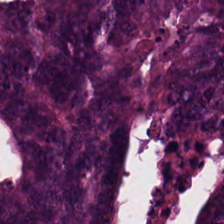H&E-stained tissue section. 0.5 µm per pixel. FFPE tissue section. Predominantly adenocarcinoma.
